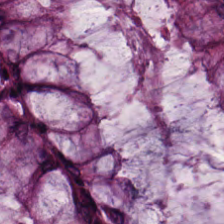Showing normal colon mucosa.
